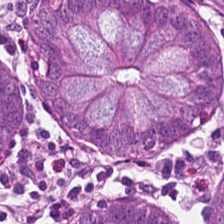Q: What type of tissue is this?
A: Normal colon mucosa.
